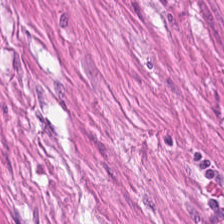224×224 pixel tile · formalin-fixed paraffin-embedded section · H&E stain.
This field is smooth-muscle tissue.
